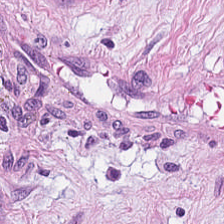WSI patch · H&E-stained tissue section · 224×224 pixel tile.
Q: What tissue is shown?
A: Tumor-associated stroma.
